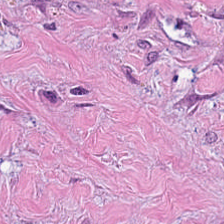H&E-stained tissue section. Brightfield.
Classification — tumor-associated stroma.
